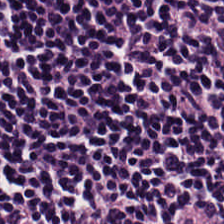H&E-stained tissue section; 224×224 pixel tile — Predominantly lymphocyte aggregate.
